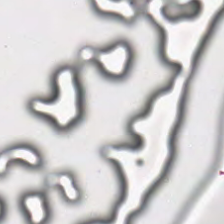H&E stain.
Background — no tissue in this field.
